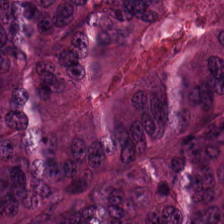H&E-stained tissue section; FFPE; 224×224 px patch — The predominant tissue is tumor epithelium.
